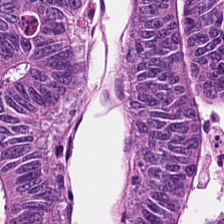Hematoxylin and eosin · 224×224 pixel tile — This patch shows colorectal adenocarcinoma.
